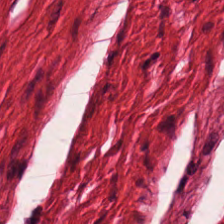H&E-stained tissue section; FFPE. Finding — muscularis.
